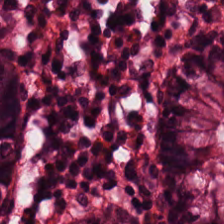H&E-stained tissue section — Q: What tissue type is shown here?
A: Normal colonic mucosa.
